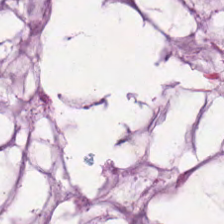FFPE tissue section; H&E stain. Q: What type of tissue is this?
A: The field shows extracellular mucin.
